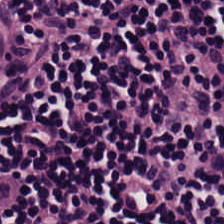Hematoxylin-and-eosin stained section.
This patch shows lymphocytes.
